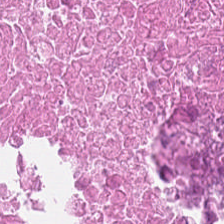H&E stain · whole-slide-image patch — Q: Identify the tissue.
A: This is cellular debris.
